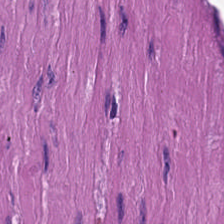H&E.
Q: What is shown here?
A: Smooth-muscle tissue.
